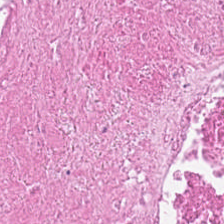Brightfield microscopy · H&E.
{"tissue_type": "cellular debris"}
